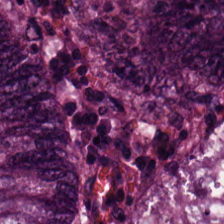Tissue class — adenocarcinoma.
